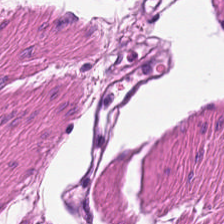H&E — This field is smooth muscle.
